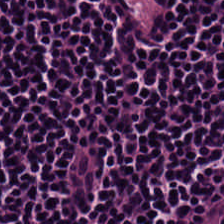H&E-stained tissue section — Tissue class: lymphocytes.
